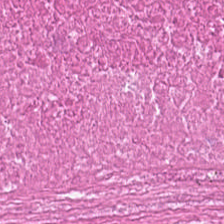20× equivalent magnification · whole-slide-image patch · H&E stain. Predominantly necrotic debris.
